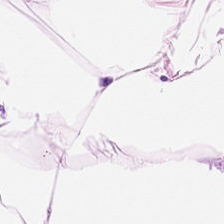The tissue type is adipose tissue.
